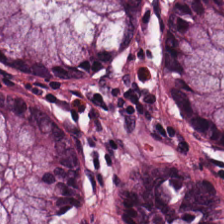H&E-stained tissue section.
The tissue here is benign colonic mucosa.
